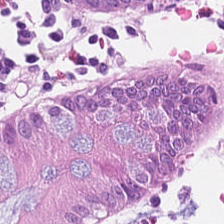H&E-stained tissue section — Predominantly normal colonic mucosa.
